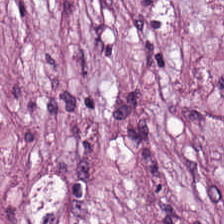H&E stain. The tissue class is tumor-associated stroma.
